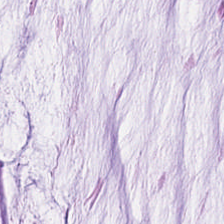Q: What tissue type is shown here?
A: Mucin.
